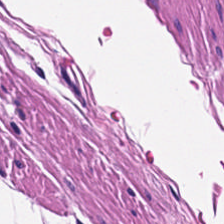H&E-stained tissue section.
The tissue class is smooth muscle.
